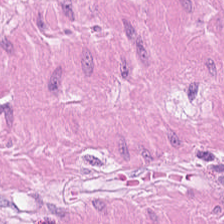Q: Identify the tissue.
A: It is smooth muscle.
